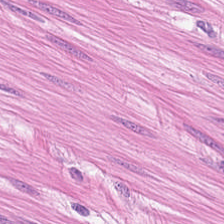H&E. Tissue class: smooth muscle.
